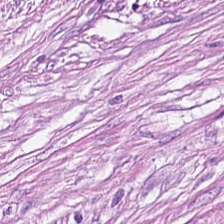Brightfield. H&E stain. Predominantly tumor stroma.
